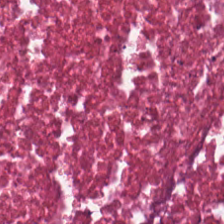224×224 px patch. Hematoxylin-and-eosin stained section — {"tissue_type": "debris"}
